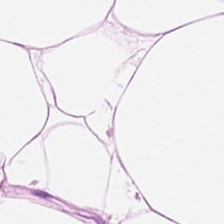H&E stain; FFPE; brightfield.
Tissue type — adipose.
